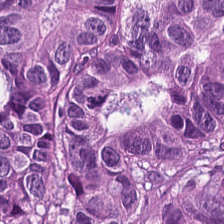H&E. Brightfield.
This patch shows malignant epithelium.
